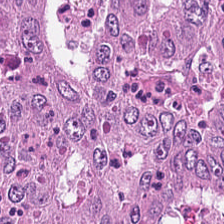Hematoxylin-and-eosin stained section — The predominant tissue is colorectal adenocarcinoma.
